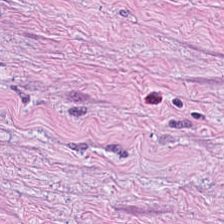Stain: H&E.
Acquisition: WSI patch.
Tissue type: tumor-associated stroma.
